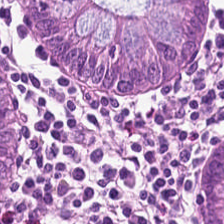Impression — normal colonic mucosa.
